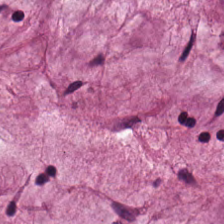H&E stain — Impression → extracellular mucin.
